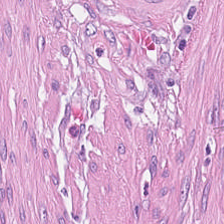Q: What tissue is shown?
A: This is tumor-associated stroma.
